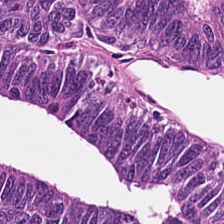FFPE · H&E. {"tissue_type": "colorectal adenocarcinoma epithelium"}
